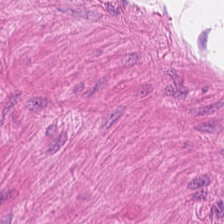Stain: hematoxylin and eosin.
Tissue type: muscularis.
